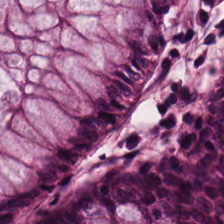This patch shows non-neoplastic colon mucosa.
